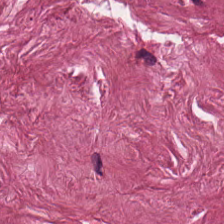H&E-stained tissue section — Q: What type of tissue is this?
A: It is cancer-associated stroma.
